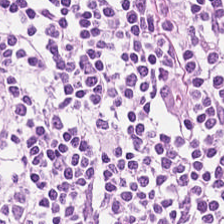0.5 microns per pixel. H&E stain.
{"tissue_type": "lymphocytes"}
